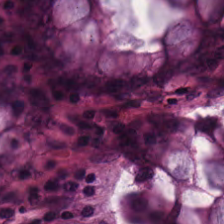H&E.
Normal colonic mucosa.
